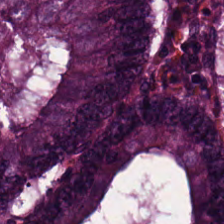Q: What does this patch show?
A: The field shows malignant epithelium.
